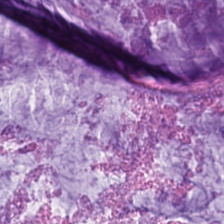WSI patch. Hematoxylin-and-eosin stained section. Impression — mucus.
